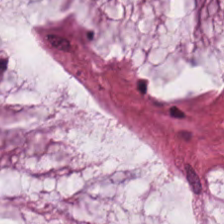Hematoxylin and eosin.
This patch shows mucus.
